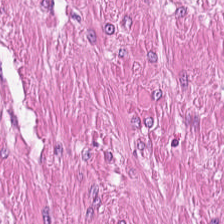Q: What tissue type is shown here?
A: Muscularis.
